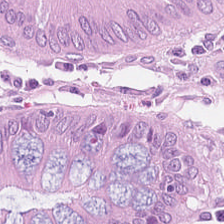H&E stain.
{"tissue_type": "non-neoplastic colon mucosa"}
